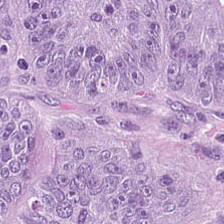Hematoxylin-and-eosin stained section.
Impression — adenocarcinoma.
